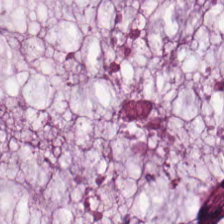H&E.
Mucin.
